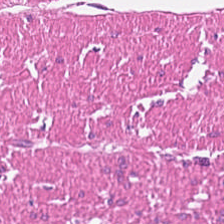H&E-stained tissue section. Showing muscularis.
